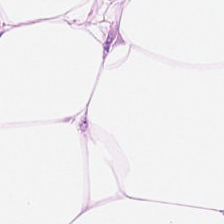224×224 px tile. H&E-stained tissue section. Predominantly adipose tissue.
